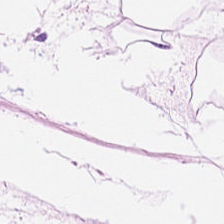Hematoxylin and eosin; 224×224 px patch; FFPE — Showing adipose tissue.
